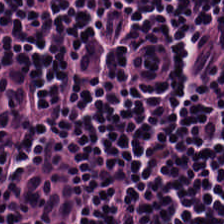The predominant tissue is lymphocytic infiltrate.
